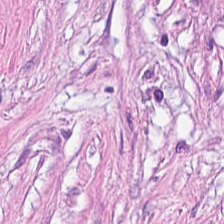Stain: H&E.
Tissue: tumor-associated stroma.
